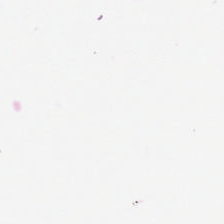Stain: H&E.
Preparation: FFPE.
Acquisition: whole-slide-image patch.
Classification: background.
